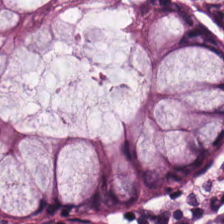H&E stain. Histology — normal colon mucosa.
